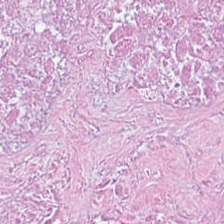0.5 microns per pixel. H&E-stained tissue section — Classification — cellular debris.
